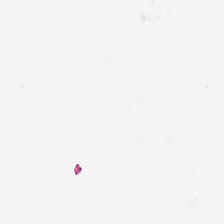FFPE · hematoxylin and eosin. This patch shows no tissue.
